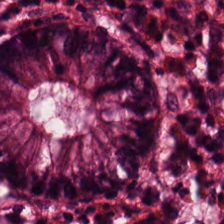Stain: H&E-stained tissue section.
Classification: normal colon mucosa.
